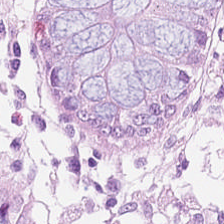H&E — benign colonic mucosa.
